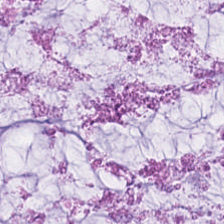FFPE · H&E stain · 0.5 µm per pixel. Q: Identify the tissue.
A: It is mucin.
